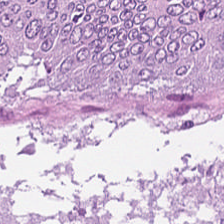H&E stain.
Tissue type — colorectal adenocarcinoma epithelium.
